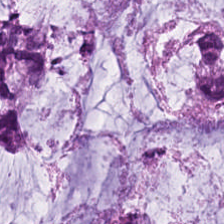H&E-stained tissue section showing mucin.
